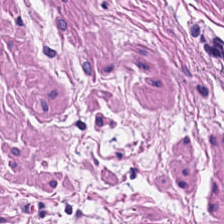Stain: H&E.
Preparation: FFPE.
Resolution: 0.5 µm/px.
Tissue class: muscularis.
